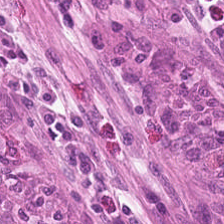H&E. 224×224 px tile. Finding — normal colonic mucosa.
